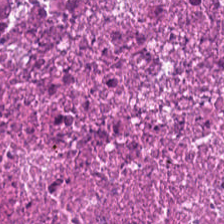224×224 px tile. 0.5 µm/px. Hematoxylin and eosin. Q: What tissue type is shown here?
A: It is necrotic debris.
